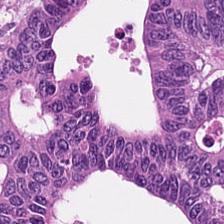H&E stain — Q: What type of tissue is this?
A: The field shows colorectal adenocarcinoma epithelium.
